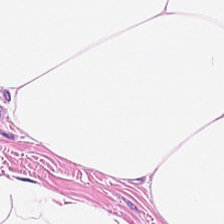Whole-slide-image patch · 0.5 µm per pixel · H&E — This patch shows adipose tissue.
